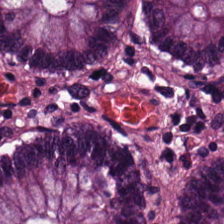Hematoxylin-and-eosin stained section. Tissue: normal colon mucosa.
